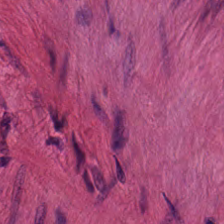224×224 pixel tile. 20× equivalent magnification. H&E — Classification = muscularis.
